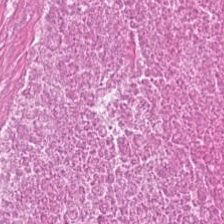H&E stain — Classification — cellular debris.
